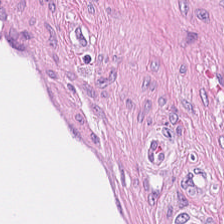Predominant tissue = cancer-associated stroma.
